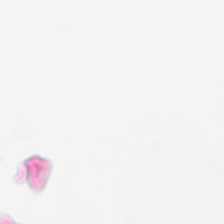Q: What does this patch show?
A: No tissue.
